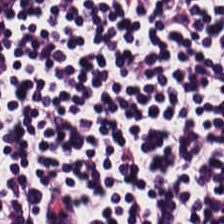H&E-stained tissue section. The tissue here is lymphocyte aggregate.
